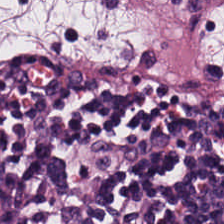The tissue here is lymphoid infiltrate.
